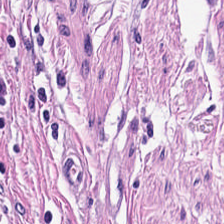Brightfield microscopy; hematoxylin-and-eosin stained section — The predominant tissue is smooth muscle.
